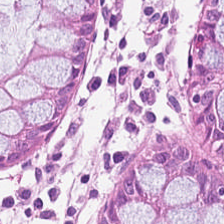H&E stain · 0.5 microns per pixel.
Predominantly benign colonic mucosa.
